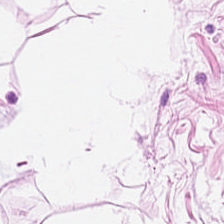Stain: H&E-stained tissue section.
Tissue class: adipose.
